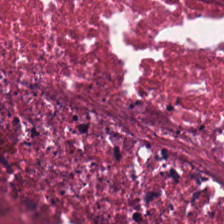Formalin-fixed paraffin-embedded section; hematoxylin-and-eosin stained section; 0.5 µm/px.
Predominantly cellular debris.
